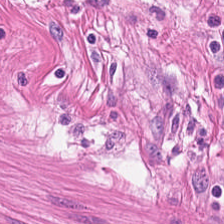224×224 px tile · FFPE · H&E stain — Tissue — muscularis.
